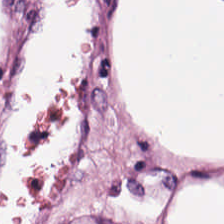Stain: H&E stain.
Classification: adipose.
